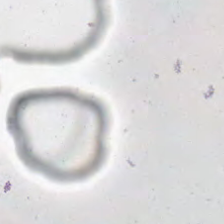H&E-stained tissue section.
Q: What is shown in this field?
A: This is background (no tissue).
